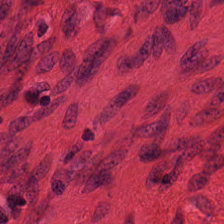224×224 px patch; H&E-stained tissue section.
Histology — smooth muscle.
